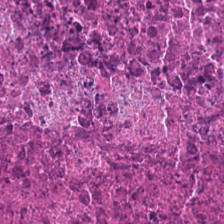H&E — Tissue type = debris.
